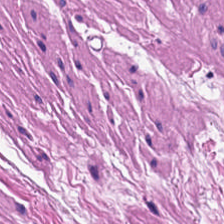H&E; 20× equivalent magnification. The tissue here is smooth muscle.
